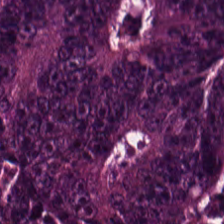Hematoxylin-and-eosin stained section; 0.5 µm/px. Q: What does this patch show?
A: This is malignant epithelium.
